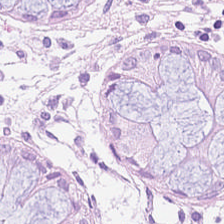H&E-stained tissue section. Predominant tissue = normal colon mucosa.
